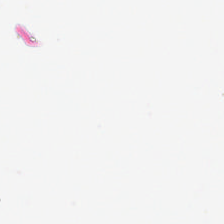H&E-stained tissue section. Background — no tissue in this field.
